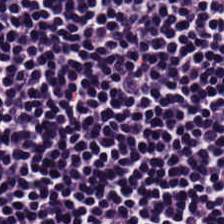H&E stain — Predominantly lymphocyte aggregate.
